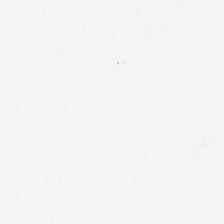H&E-stained tissue section — This field is background (no tissue).
